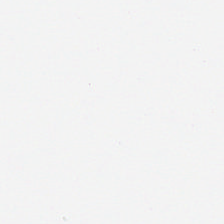H&E stain — Classification = background (no tissue).
